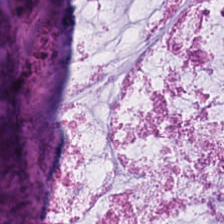H&E-stained tissue section · brightfield microscopy — Q: What is shown in this field?
A: It is mucin.
